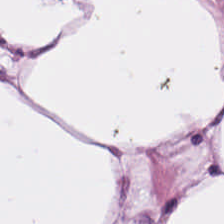Showing adipose.
